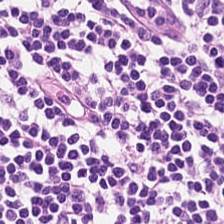Whole-slide-image patch · H&E · 224×224 px tile — Histology — lymphocytes.
